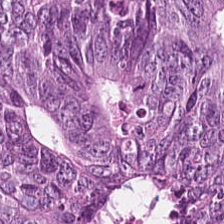Q: Classify this patch.
A: This is colorectal adenocarcinoma epithelium.
